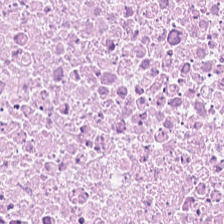Tissue = cellular debris.
